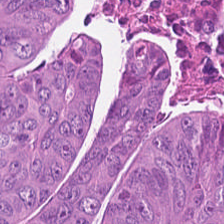H&E. 224×224 px tile. FFPE tissue section.
This patch shows malignant epithelium.
